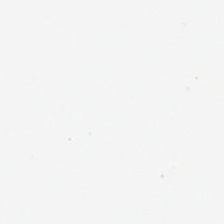No tissue.
